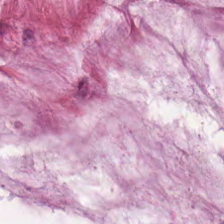This field is mucus.
